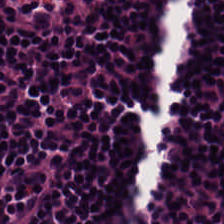WSI patch. H&E. 0.5 µm/px.
This patch shows lymphocytic infiltrate.
